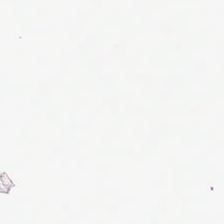H&E stain. Histology → empty background.
